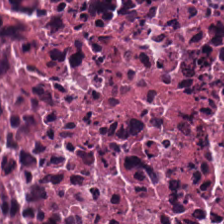Hematoxylin and eosin. Q: Identify the tissue.
A: This is debris.
